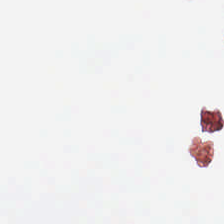H&E stain — No tissue.
